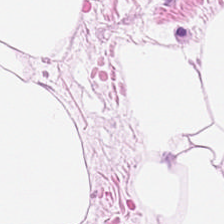Formalin-fixed paraffin-embedded section · hematoxylin and eosin · 0.5 µm/px. Adipocytes.
